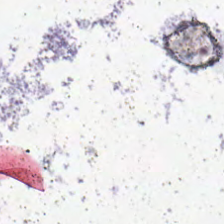H&E-stained tissue section — Impression — background (no tissue).
